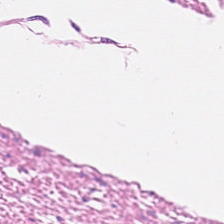H&E · 0.5 microns per pixel · FFPE. This field is smooth-muscle tissue.
